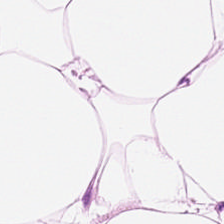Hematoxylin-and-eosin stained section. Showing adipose tissue.
